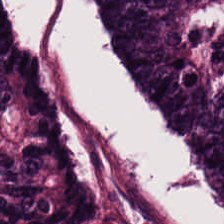H&E stain. The classification is colorectal adenocarcinoma epithelium.
